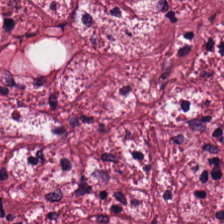WSI patch · hematoxylin and eosin. The tissue here is cancer-associated stroma.
